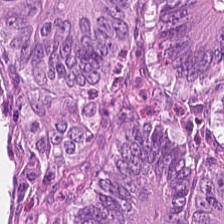H&E-stained tissue section. Finding — tumor epithelium.
